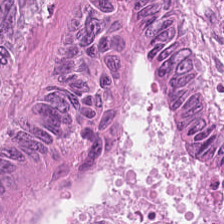Hematoxylin-and-eosin stained section — Q: What is the predominant tissue type?
A: It is malignant epithelium.
